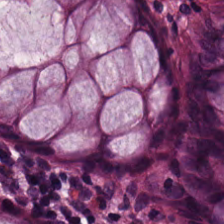Stain: H&E-stained tissue section.
Predominant tissue: normal colon mucosa.
